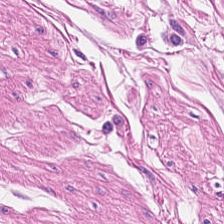FFPE tissue section. Hematoxylin and eosin.
Tissue class: muscularis.
